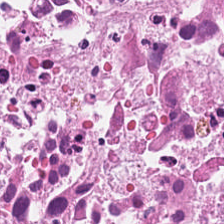Whole-slide-image patch · hematoxylin-and-eosin stained section — Predominantly cellular debris.
